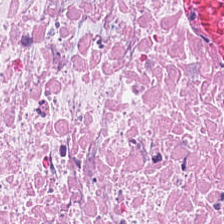H&E. Formalin-fixed paraffin-embedded section.
Finding → cellular debris.
